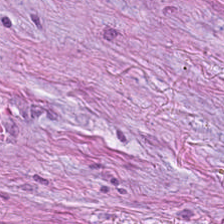The predominant tissue is tumor stroma.
